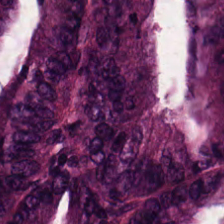Hematoxylin-and-eosin stained section — Q: Identify the tissue.
A: This is adenocarcinoma.
